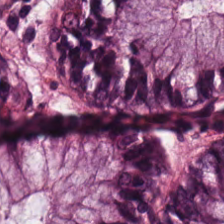0.5 microns per pixel · H&E-stained tissue section — This field is non-neoplastic colon mucosa.
